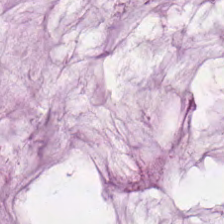Hematoxylin-and-eosin section: extracellular mucin.
